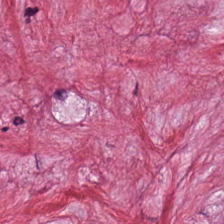Hematoxylin-and-eosin stained section; 224×224 pixel tile.
Showing desmoplastic stroma.
